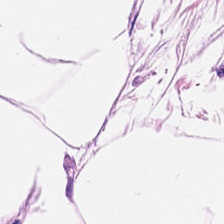H&E-stained tissue section — Q: Identify the tissue.
A: The field shows adipose.
